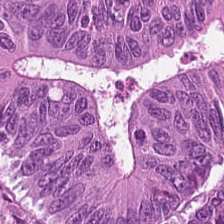Stain: H&E stain.
Tissue type: tumor epithelium.
